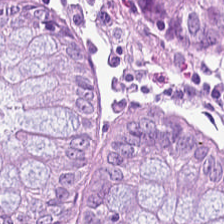Hematoxylin and eosin.
Showing non-neoplastic colon mucosa.
